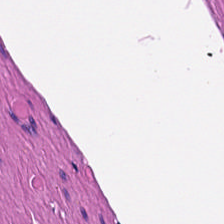Hematoxylin and eosin. Q: What tissue is shown?
A: The field shows smooth muscle.
